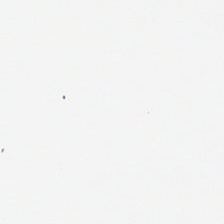0.5 microns per pixel · H&E. Finding — background.
